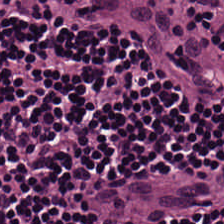Hematoxylin-and-eosin stained section — Q: What tissue is shown?
A: Lymphocyte aggregate.
